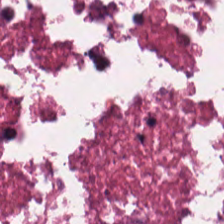H&E stain.
Predominantly cellular debris.
